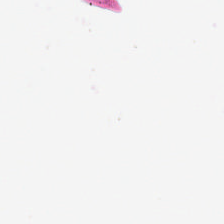Classification: empty background.
